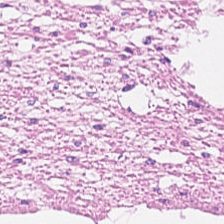Hematoxylin-and-eosin section: smooth-muscle tissue.
